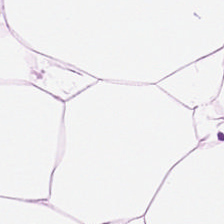224×224 px patch · H&E stain · 20× equivalent magnification.
The predominant tissue is adipose.
